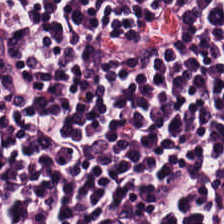0.5 microns per pixel · FFPE · hematoxylin and eosin.
This field is lymphocytes.
